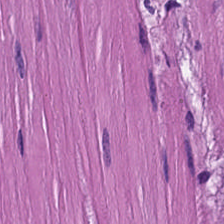Histology → smooth muscle.
